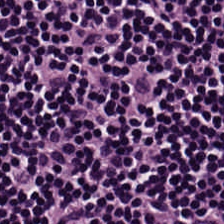H&E — This field is lymphocytic infiltrate.
